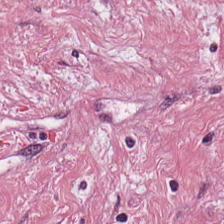H&E-stained tissue section; brightfield microscopy.
The tissue is tumor-associated stroma.
